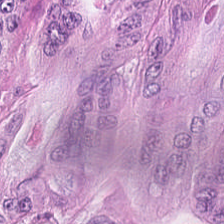Hematoxylin-and-eosin stained section — Q: What tissue is shown?
A: It is colorectal adenocarcinoma epithelium.
